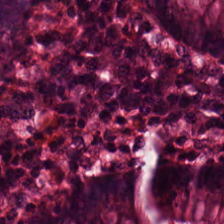224×224 px tile. H&E-stained tissue section. The tissue here is normal colon mucosa.
